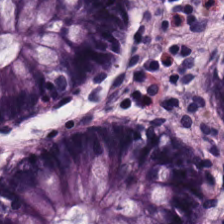H&E.
The predominant tissue is normal colon mucosa.
